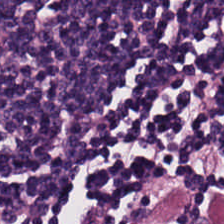224×224 px patch; H&E-stained tissue section. Q: What is shown here?
A: The field shows lymphocytic infiltrate.
